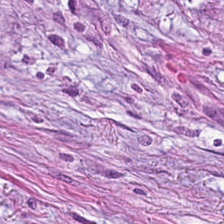Brightfield. Hematoxylin and eosin. Formalin-fixed paraffin-embedded section.
Tissue — tumor stroma.
